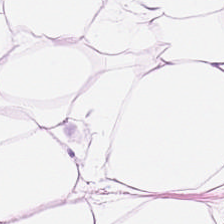H&E-stained tissue section. Tissue = fat tissue.
